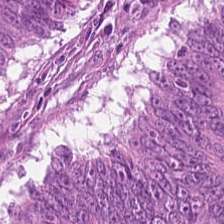H&E stain. The tissue here is adenocarcinoma.
